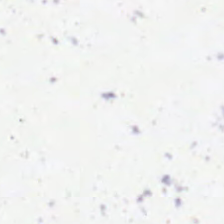H&E.
Field content — background (no tissue).
